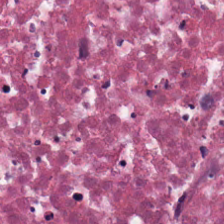Hematoxylin-and-eosin stained section — {"tissue_type": "necrotic debris"}
